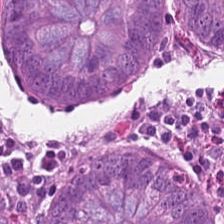FFPE · 224×224 px patch · hematoxylin-and-eosin stained section.
The classification is non-neoplastic colon mucosa.
